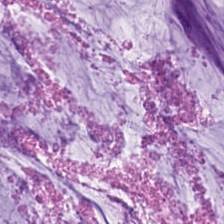H&E stain. 224×224 px tile.
The predominant tissue is mucin.
